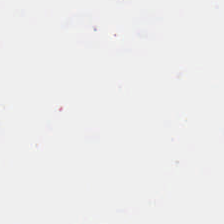Hematoxylin-and-eosin stained section — Background (no tissue).
